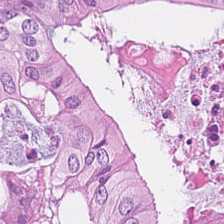20× equivalent magnification. H&E-stained tissue section. FFPE.
Predominant tissue — colorectal adenocarcinoma.
